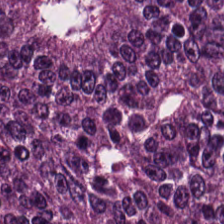Hematoxylin and eosin — Predominant tissue — tumor epithelium.
